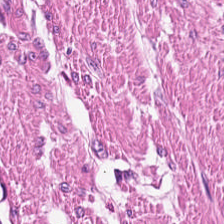Stain: hematoxylin and eosin.
Acquisition: whole-slide-image patch.
Tissue type: smooth muscle.
